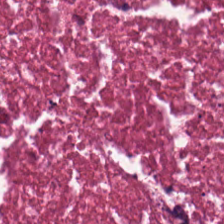H&E-stained tissue section.
Q: What is shown here?
A: This is cellular debris.
